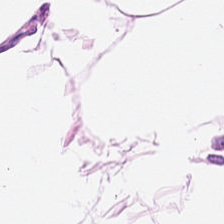H&E-stained tissue section · FFPE · 0.5 µm/px — {"tissue_type": "fat tissue"}
